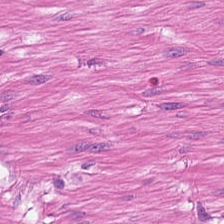Finding → smooth muscle.
